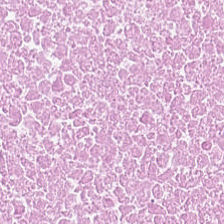0.5 microns per pixel; formalin-fixed paraffin-embedded section; hematoxylin-and-eosin stained section.
The tissue class is cellular debris.
